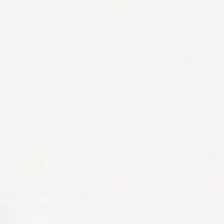H&E.
Q: What is shown here?
A: It is empty background.
